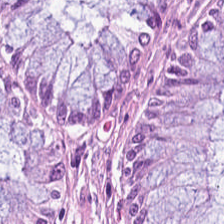Finding → normal colonic mucosa.
